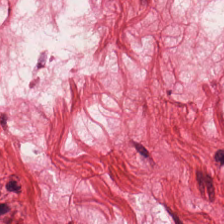Hematoxylin-and-eosin stained section; 224×224 px tile. Showing smooth-muscle tissue.
